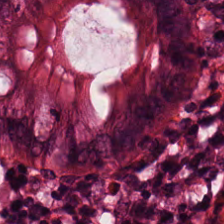Hematoxylin and eosin; 224×224 pixel tile.
Impression — benign colonic mucosa.
